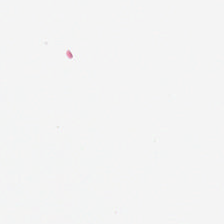Content: empty background.
